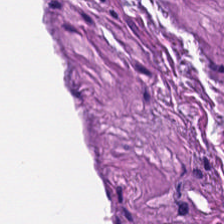Hematoxylin and eosin — Tissue — muscularis.
